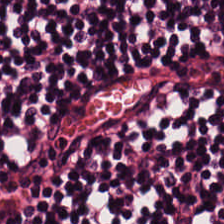FFPE tissue section · H&E · 224×224 px patch.
Q: What is shown in this field?
A: The field shows lymphocyte aggregate.
